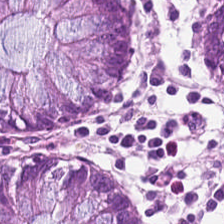Hematoxylin and eosin. Predominant tissue: normal colon mucosa.
